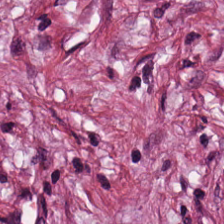Q: What is shown here?
A: The field shows tumor-associated stroma.
